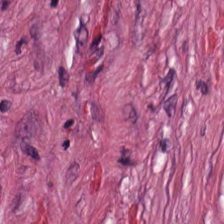Stain: H&E.
Predominant tissue: tumor-associated stroma.
